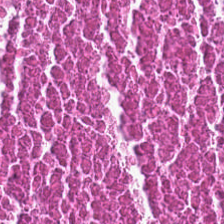H&E-stained tissue section.
Tissue — necrotic debris.
